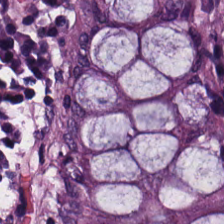Hematoxylin and eosin — This field is benign colonic mucosa.
